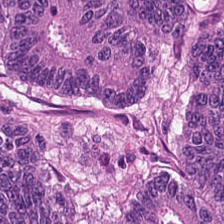Hematoxylin-and-eosin stained section. 0.5 µm/px — The tissue here is adenocarcinoma.
